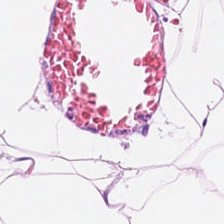H&E-stained tissue section.
Finding → fat tissue.
